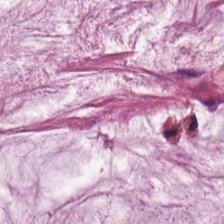Hematoxylin-and-eosin stained section — Tissue type: mucin.
